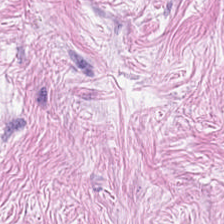Hematoxylin and eosin. The tissue here is desmoplastic stroma.
